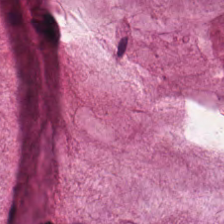The predominant tissue is mucus.
